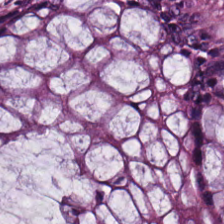Stain: H&E stain.
Preparation: FFPE tissue section.
Classification: normal colonic mucosa.
